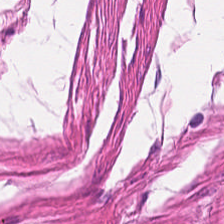Stain: hematoxylin-and-eosin stained section.
Preparation: FFPE tissue section.
Tile size: 224×224 px tile.
Predominant tissue: smooth-muscle tissue.
